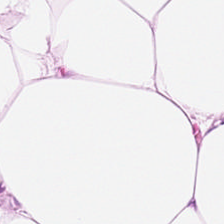224×224 px tile · hematoxylin and eosin — Q: What is shown in this field?
A: The field shows adipocytes.
